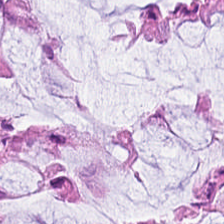Q: What tissue type is shown here?
A: It is normal colon mucosa.
